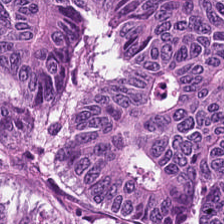Hematoxylin and eosin.
The predominant tissue is tumor epithelium.
